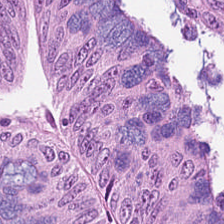H&E — Predominant tissue: tumor epithelium.
